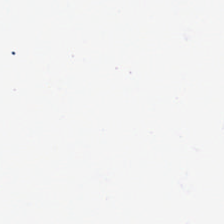0.5 µm/px; H&E stain.
Q: What does this patch show?
A: The field shows no tissue.
